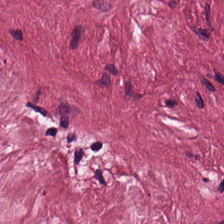0.5 µm per pixel. Brightfield microscopy. H&E.
Finding → desmoplastic stroma.
